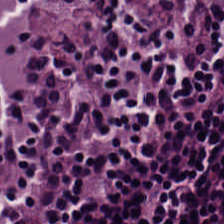H&E stain · FFPE — Lymphocytic infiltrate.
